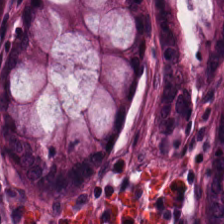Q: Identify the tissue.
A: The field shows normal colonic mucosa.
